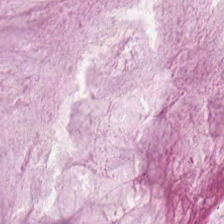Predominant tissue — mucin.
